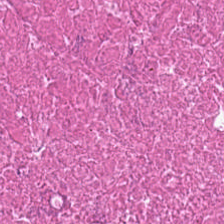Hematoxylin and eosin — Predominant tissue — debris.
